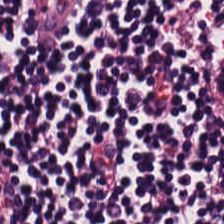Q: Identify the tissue.
A: Lymphocytic infiltrate.
